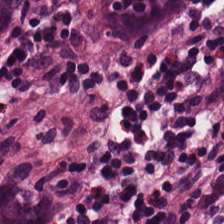Hematoxylin-and-eosin stained section; brightfield microscopy; formalin-fixed paraffin-embedded section — Classification: normal colon mucosa.
